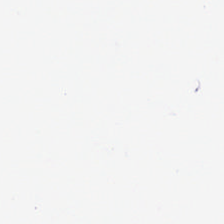FFPE. H&E stain. Brightfield microscopy — Q: What is shown in this field?
A: It is background (no tissue).
